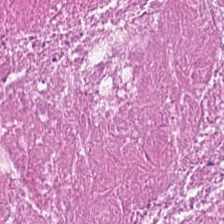Hematoxylin-and-eosin stained section · 0.5 µm per pixel — The predominant tissue is necrotic debris.
